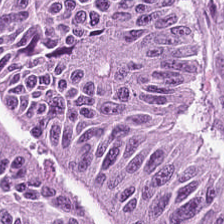Hematoxylin and eosin.
Predominant tissue: colorectal adenocarcinoma.
